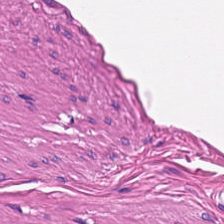H&E.
Q: What tissue is shown?
A: The field shows muscularis.
